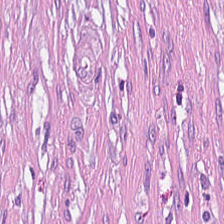Stain: H&E-stained tissue section.
Tissue type: tumor-associated stroma.
